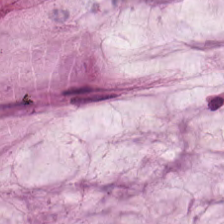Hematoxylin-and-eosin stained section.
Tissue = mucin.
